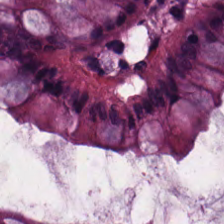Q: Classify this patch.
A: It is benign colonic mucosa.
